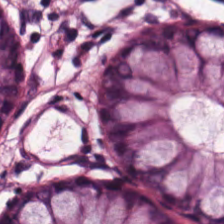H&E-stained tissue section. Finding → normal colonic mucosa.
